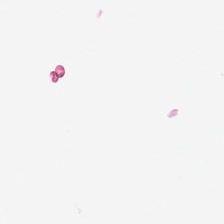Hematoxylin and eosin.
Content = no tissue.
